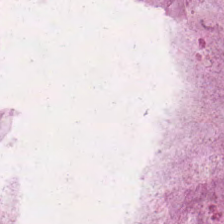H&E stain.
Tissue class: mucin.
